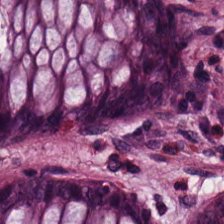Hematoxylin-and-eosin stained section.
Histology → normal colon mucosa.
